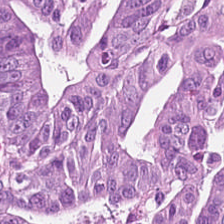The tissue class is adenocarcinoma.
